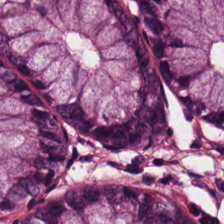20× equivalent magnification. Hematoxylin and eosin. 224×224 px tile — The tissue type is non-neoplastic colon mucosa.
